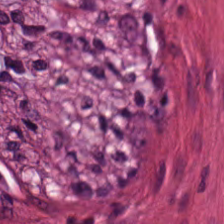H&E-stained tissue section; 0.5 µm per pixel. The predominant tissue is smooth muscle.
